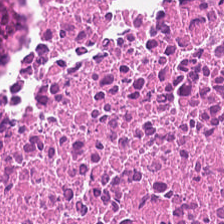WSI patch. Hematoxylin and eosin — Showing cellular debris.
